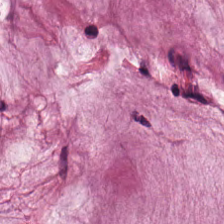H&E.
Tissue class = mucin.
